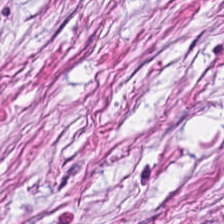H&E-stained tissue section. FFPE tissue section — Impression — tumor-associated stroma.
